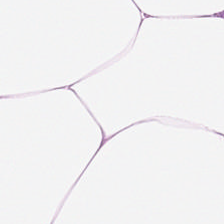Whole-slide-image patch. H&E-stained tissue section. 0.5 µm per pixel. Finding — adipose tissue.
